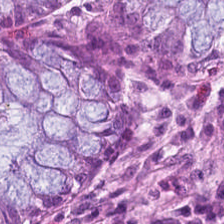{"tissue_type": "normal colon mucosa"}
